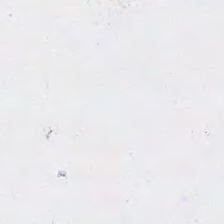H&E-stained tissue section · FFPE · 0.5 µm/px.
Finding — background.
